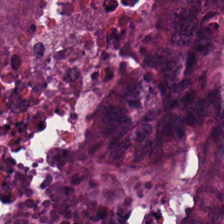Predominantly colorectal adenocarcinoma epithelium.
